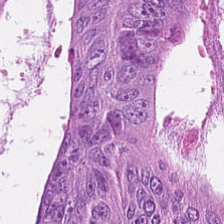H&E.
The tissue here is colorectal adenocarcinoma.
